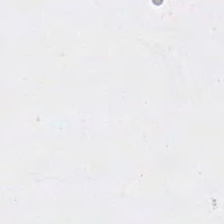H&E stain. Q: What is shown in this field?
A: No tissue.
